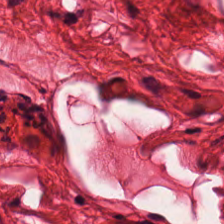Hematoxylin and eosin · formalin-fixed paraffin-embedded section — Tissue: smooth muscle.
